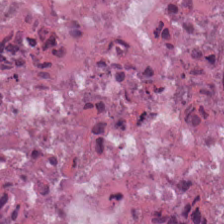H&E stain — {"tissue_type": "cellular debris"}
